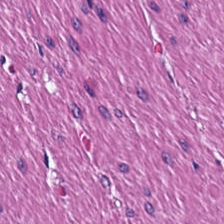Stain: hematoxylin and eosin.
Classification: muscularis.
